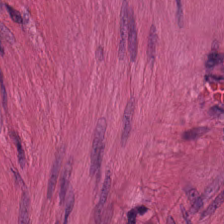WSI patch; H&E-stained tissue section — The tissue here is smooth muscle.
